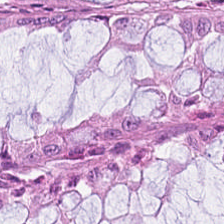Hematoxylin and eosin · 0.5 µm per pixel.
{"tissue_type": "benign colonic mucosa"}
